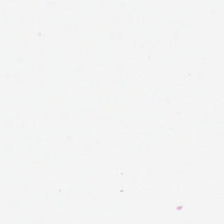Hematoxylin and eosin. {"content": "empty background"}
